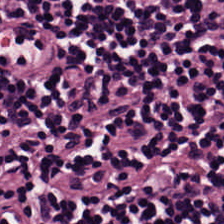224×224 px tile. Brightfield. Hematoxylin and eosin — Predominant tissue: lymphocytic infiltrate.
